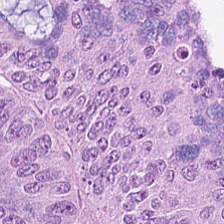The tissue here is tumor epithelium.
